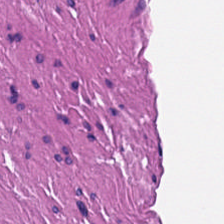H&E. The tissue class is smooth-muscle tissue.
